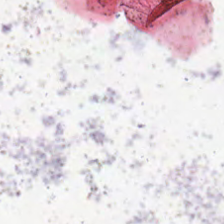0.5 µm/px · H&E — The classification is no tissue.
